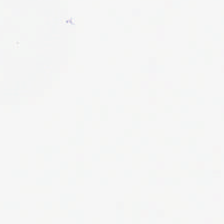Hematoxylin-and-eosin stained section · 224×224 pixel tile — No tissue.
